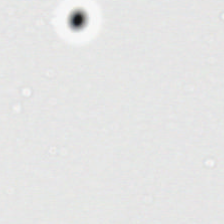Whole-slide-image patch; 224×224 px patch; hematoxylin-and-eosin stained section. Q: What is shown here?
A: Empty background.
